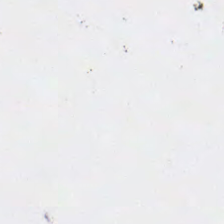Hematoxylin and eosin. Q: What is shown here?
A: Background.
